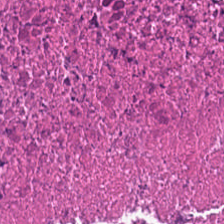{"tissue_type": "necrotic debris"}
